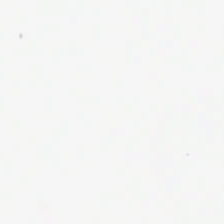H&E stain. 224×224 px tile. FFPE — Q: What is shown in this field?
A: It is background (no tissue).
